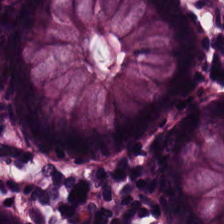Hematoxylin and eosin. 0.5 µm per pixel.
Finding — non-neoplastic colon mucosa.
